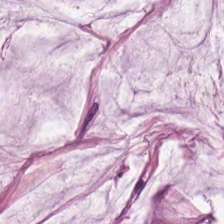Classification — extracellular mucin.
